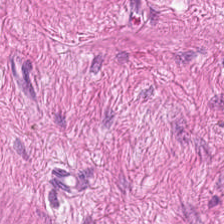Classification: smooth muscle.
